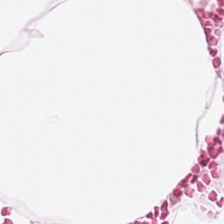H&E stain · 224×224 px tile — Q: Classify this patch.
A: This is adipocytes.
